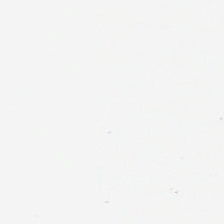0.5 µm per pixel. H&E-stained tissue section — This field is background (no tissue).
